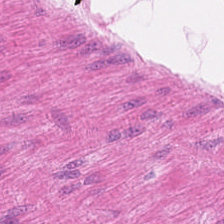This field is muscularis.
